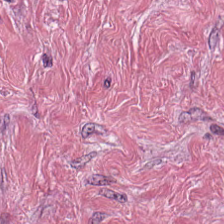Q: What is the predominant tissue type?
A: This is tumor-associated stroma.
